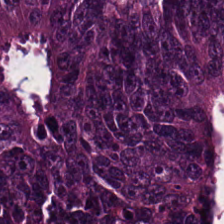H&E stain — The predominant tissue is colorectal adenocarcinoma epithelium.
